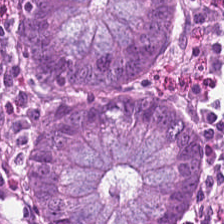Hematoxylin-and-eosin stained section.
Tissue class: non-neoplastic colon mucosa.
